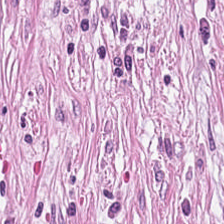Classification: tumor stroma.
